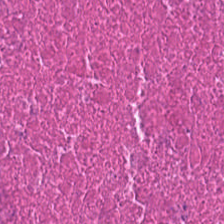H&E stain. 0.5 µm per pixel.
Q: What type of tissue is this?
A: Debris.
